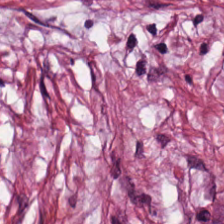0.5 microns per pixel; H&E stain.
Q: What is the predominant tissue type?
A: This is cancer-associated stroma.
